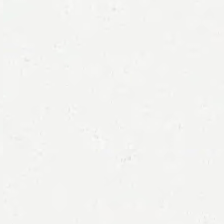Hematoxylin-and-eosin stained section.
Background.
